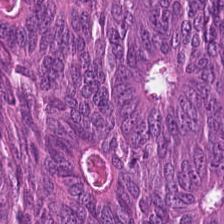H&E stain. Tissue = adenocarcinoma.
